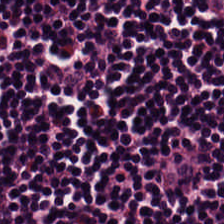H&E stain.
Q: Identify the tissue.
A: This is lymphocyte aggregate.
